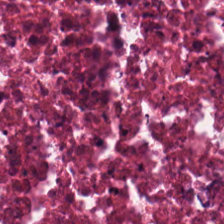Stain: hematoxylin-and-eosin stained section.
Tissue class: necrotic debris.
